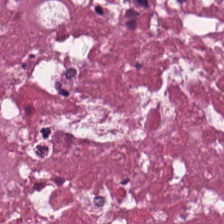H&E — Predominant tissue = debris.
